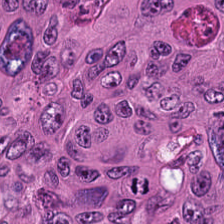The tissue here is colorectal adenocarcinoma epithelium.
